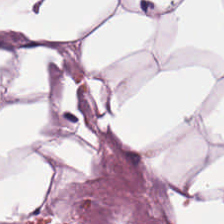Stain: hematoxylin and eosin.
Preparation: formalin-fixed paraffin-embedded section.
Tissue class: adipose tissue.
